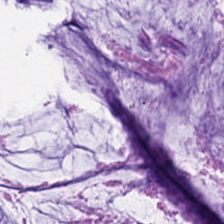H&E. Q: What does this patch show?
A: The field shows mucus.
